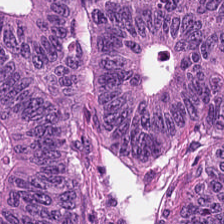Tissue class: adenocarcinoma.
